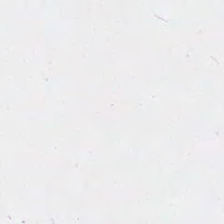WSI patch. Hematoxylin-and-eosin stained section. Field content: no tissue.
